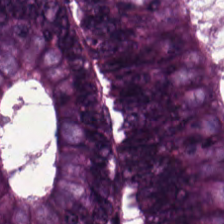Hematoxylin and eosin.
Histology → colorectal adenocarcinoma epithelium.
